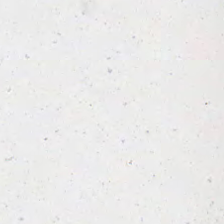20× equivalent magnification. 224×224 pixel tile. H&E-stained tissue section. Finding → background.
